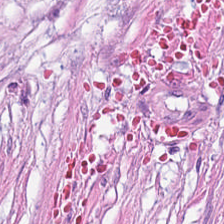H&E; 224×224 px tile; brightfield microscopy.
This field is desmoplastic stroma.
